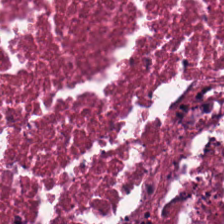Formalin-fixed paraffin-embedded section; 224×224 pixel tile; hematoxylin and eosin — This patch shows cellular debris.
